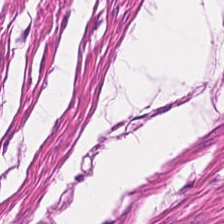Hematoxylin and eosin. FFPE. 224×224 pixel tile. The tissue is smooth-muscle tissue.
